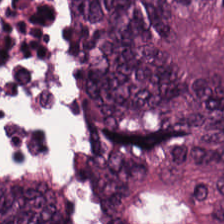Stain: hematoxylin and eosin.
Resolution: 20× equivalent magnification.
Tissue class: colorectal adenocarcinoma.
